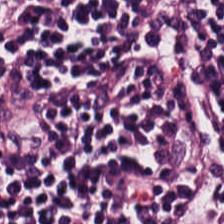H&E stain. This patch shows lymphoid infiltrate.
